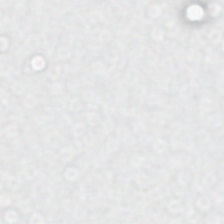H&E stain · formalin-fixed paraffin-embedded section · 0.5 µm per pixel — Empty field — no tissue.
